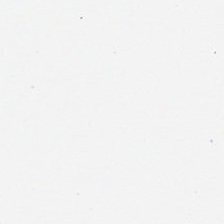Hematoxylin-and-eosin stained section. WSI patch — Impression → background (no tissue).
